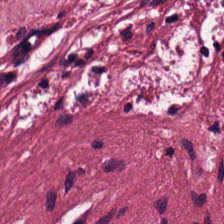H&E — desmoplastic stroma.
